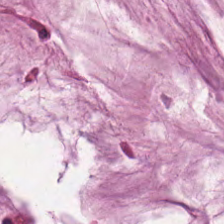H&E. The tissue here is mucin.
